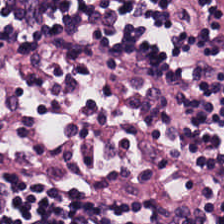H&E.
Tissue = lymphoid infiltrate.
